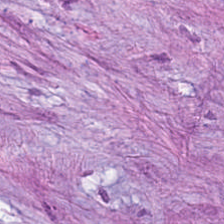WSI patch; H&E-stained tissue section; 0.5 µm/px.
Tissue class: cancer-associated stroma.
